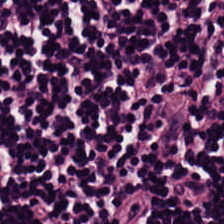H&E — Showing lymphocytes.
